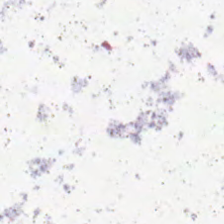0.5 µm/px. H&E stain. 224×224 pixel tile — Field content = background.
